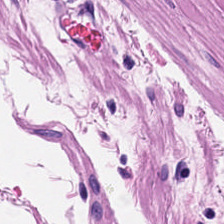Impression — muscularis.
